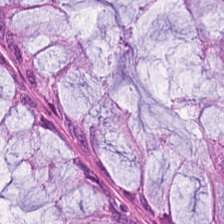Hematoxylin-and-eosin stained section. Predominantly non-neoplastic colon mucosa.
